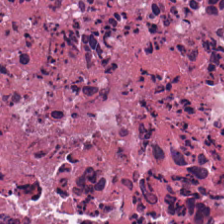H&E.
Histology — cellular debris.
